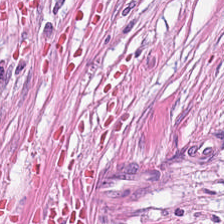H&E stain — Finding → desmoplastic stroma.
